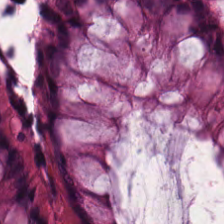Hematoxylin and eosin.
The predominant tissue is benign colonic mucosa.
